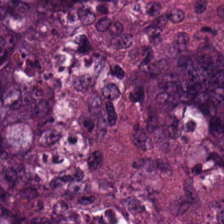Hematoxylin and eosin.
The tissue type is tumor epithelium.
